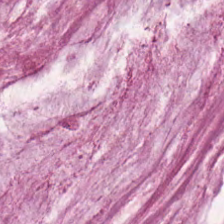Hematoxylin-and-eosin stained section; WSI patch.
The tissue here is mucin.
